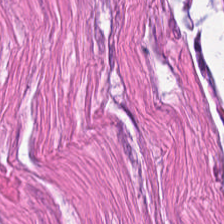Hematoxylin and eosin — This patch shows smooth-muscle tissue.
